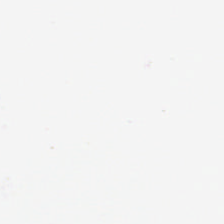H&E.
Classification: empty background.
